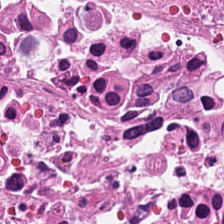Stain: H&E-stained tissue section.
Tissue: necrotic debris.
